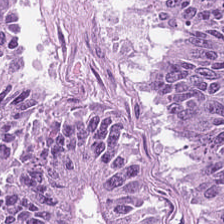Hematoxylin and eosin.
This field is colorectal adenocarcinoma epithelium.
